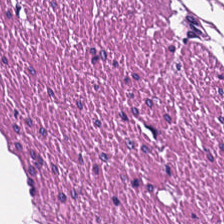Hematoxylin-and-eosin stained section.
The classification is smooth muscle.
